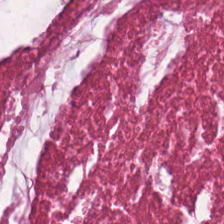The predominant tissue is necrotic debris.
